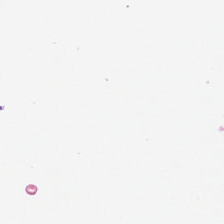224×224 px tile · 0.5 µm per pixel · H&E stain.
This field is background (no tissue).
